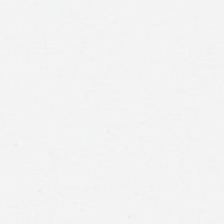0.5 µm per pixel · H&E stain. Impression — no tissue.
